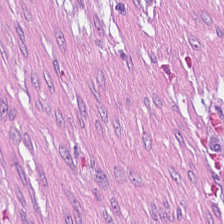224×224 pixel tile · 0.5 µm/px · H&E-stained tissue section.
Q: What is shown here?
A: The field shows cancer-associated stroma.
